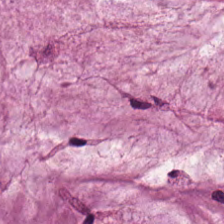H&E-stained tissue section — Predominantly mucus.
